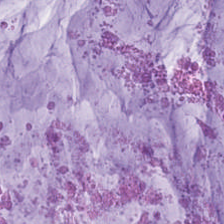Hematoxylin and eosin; 224×224 px tile — The tissue here is extracellular mucin.
